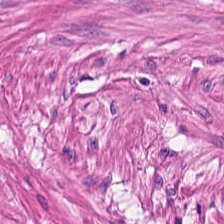FFPE · H&E-stained tissue section — The tissue class is smooth-muscle tissue.
